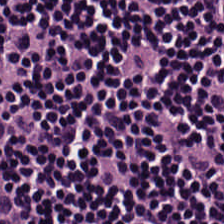FFPE tissue section · brightfield microscopy · H&E-stained tissue section. Tissue class — lymphoid infiltrate.
